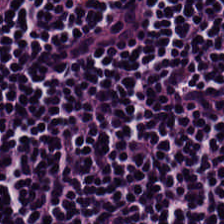Hematoxylin-and-eosin section: lymphocyte aggregate.
